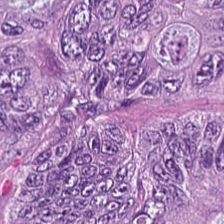Stain: H&E stain.
Tile size: 224×224 px tile.
Tissue class: colorectal adenocarcinoma epithelium.
